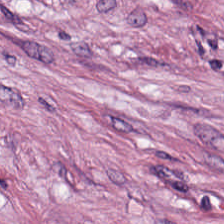H&E. This patch shows cancer-associated stroma.
